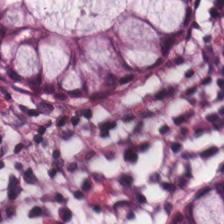H&E; 0.5 µm per pixel. Q: What tissue type is shown here?
A: This is non-neoplastic colon mucosa.
